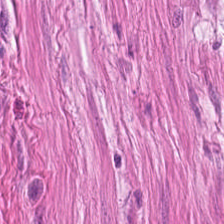Hematoxylin-and-eosin stained section — Impression — muscularis.
